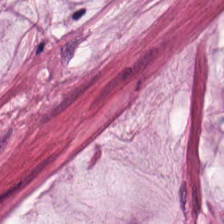Hematoxylin and eosin · brightfield microscopy.
Predominantly extracellular mucin.
